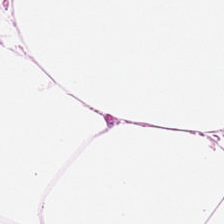0.5 µm/px. Hematoxylin and eosin.
Tissue type: adipocytes.
